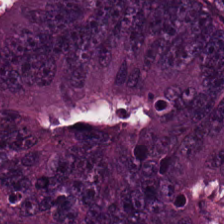Hematoxylin and eosin. 224×224 pixel tile. The predominant tissue is malignant epithelium.
